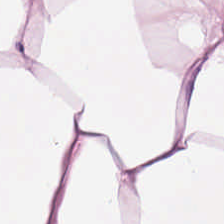Showing adipose.
